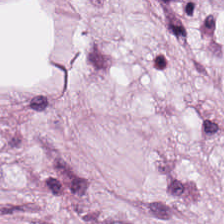H&E-stained tissue section.
Q: What does this patch show?
A: Adipose.
